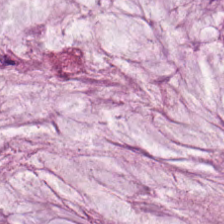H&E-stained tissue section — This patch shows mucus.
